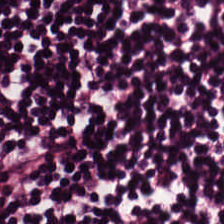H&E · FFPE — Predominantly lymphocyte aggregate.
